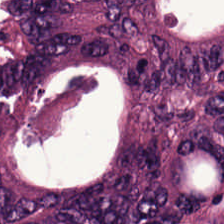Stain: hematoxylin and eosin.
Classification: adenocarcinoma.
